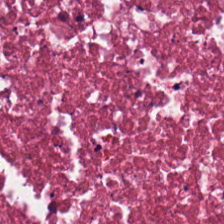0.5 µm/px. Hematoxylin and eosin.
Tissue type = debris.
